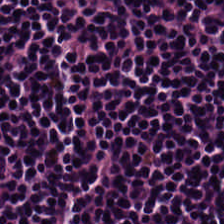Q: What does this patch show?
A: The field shows lymphocytes.
